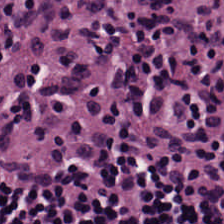224×224 px patch · H&E stain.
Predominantly lymphocytes.
